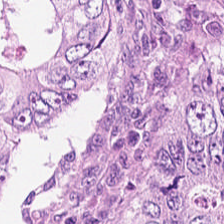Hematoxylin-and-eosin stained section. Showing malignant epithelium.
